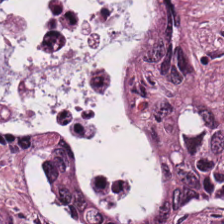H&E stain; 0.5 microns per pixel; brightfield. Q: What is shown here?
A: It is tumor epithelium.
